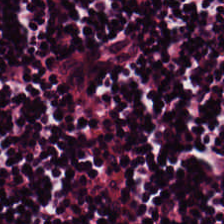Hematoxylin-and-eosin stained section — Tissue type: lymphocytes.
